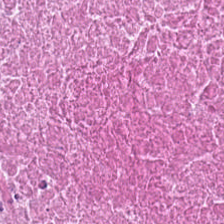This field is debris.
